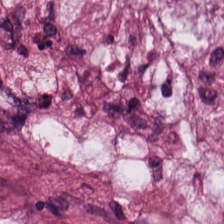This field is mucin.
